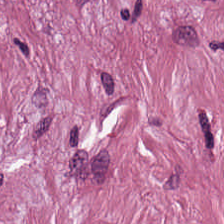Stain: hematoxylin and eosin.
Tissue: desmoplastic stroma.
